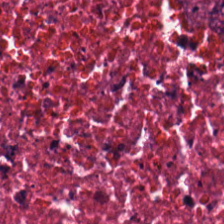H&E-stained tissue section. Q: What is shown here?
A: Debris.
